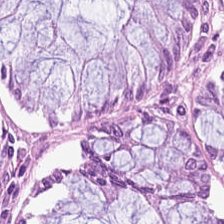Hematoxylin-and-eosin stained section. Brightfield microscopy. FFPE. Classification: normal colon mucosa.
